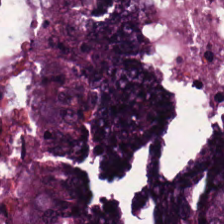Brightfield microscopy · hematoxylin and eosin · 20× equivalent magnification — Finding → tumor epithelium.
